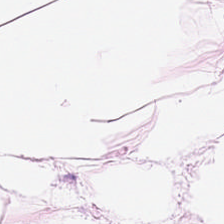Hematoxylin and eosin. Adipocytes.
